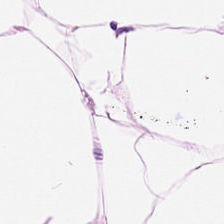20× equivalent magnification. Hematoxylin and eosin. Tissue type — adipose.
